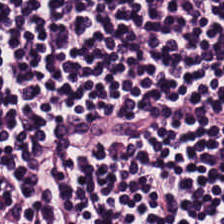FFPE tissue section · hematoxylin and eosin.
Tissue class = lymphocytes.
